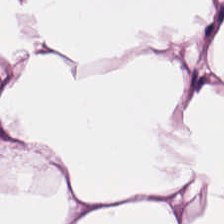Hematoxylin-and-eosin stained section. Brightfield microscopy — Predominantly adipocytes.
